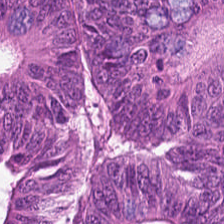Hematoxylin-and-eosin section: adenocarcinoma.
